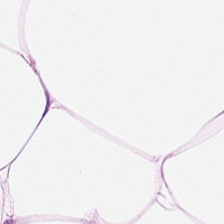224×224 pixel tile; formalin-fixed paraffin-embedded section; H&E-stained tissue section.
Q: What is the predominant tissue type?
A: This is adipose tissue.
